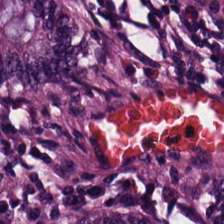This patch shows normal colon mucosa.
